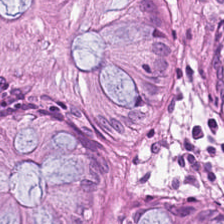FFPE. H&E stain. Impression → benign colonic mucosa.
